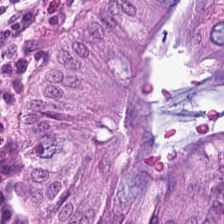Stain: H&E stain.
Resolution: 0.5 µm per pixel.
Classification: benign colonic mucosa.
